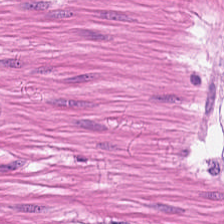Stain: H&E-stained tissue section.
Resolution: 20× equivalent magnification.
Predominant tissue: smooth-muscle tissue.
